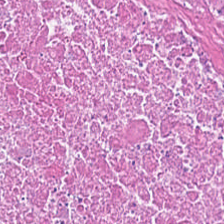Hematoxylin-and-eosin stained section — Cellular debris.
